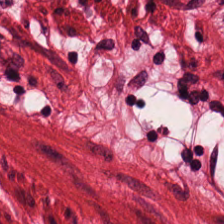Hematoxylin and eosin · 20× equivalent magnification. This field is smooth-muscle tissue.
